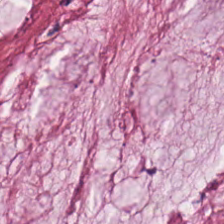Stain: H&E-stained tissue section.
Tissue type: mucus.
